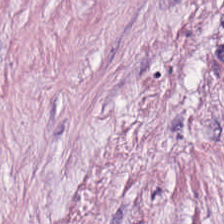H&E — Q: What tissue is shown?
A: Cancer-associated stroma.
